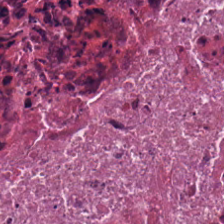H&E stain — The classification is debris.
